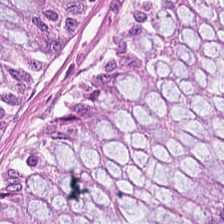Benign colonic mucosa.
